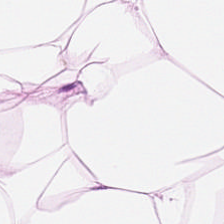Q: What is the predominant tissue type?
A: This is adipocytes.
